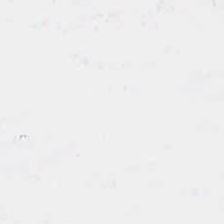0.5 µm/px; H&E-stained tissue section — No tissue present; background only.
